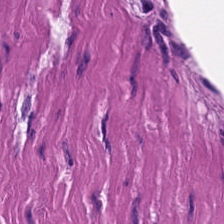H&E.
{"tissue_type": "smooth-muscle tissue"}
